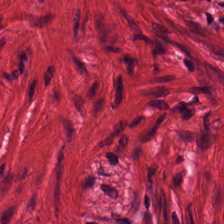H&E-stained tissue section — The tissue type is smooth-muscle tissue.
